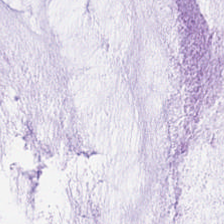H&E — This field is mucin.
